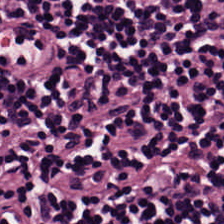FFPE · H&E.
Lymphocytes.
